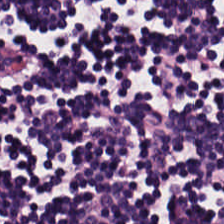224×224 px tile · H&E-stained tissue section · 0.5 µm/px — Showing lymphocytes.
